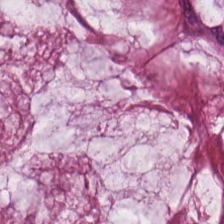0.5 µm/px. H&E stain.
This field is mucin.
